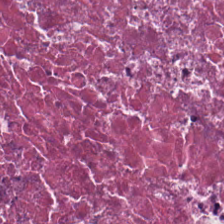Stain: hematoxylin-and-eosin stained section.
Tissue type: necrotic debris.
